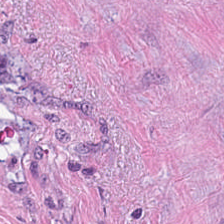H&E; whole-slide-image patch; 224×224 px patch — Q: What is shown in this field?
A: Tumor stroma.
